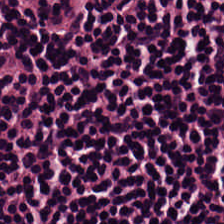Hematoxylin-and-eosin stained section; formalin-fixed paraffin-embedded section — Predominantly lymphocytes.
